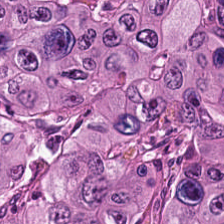224×224 px tile; hematoxylin and eosin — This field is malignant epithelium.
